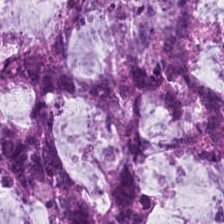Whole-slide-image patch · H&E stain — This field is mucus.
